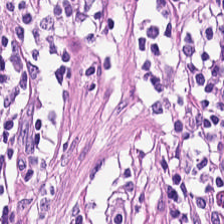Hematoxylin and eosin. Q: What tissue is shown?
A: It is lymphocytic infiltrate.
